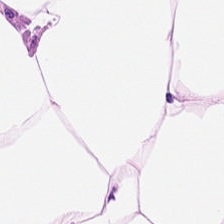224×224 pixel tile. H&E stain.
Adipose.
